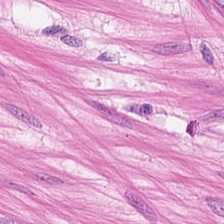H&E. Smooth-muscle tissue.
